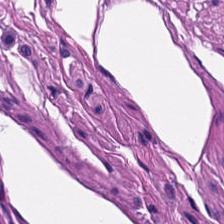{"tissue_type": "smooth-muscle tissue"}
